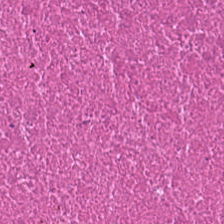Formalin-fixed paraffin-embedded section; whole-slide-image patch; H&E. Classification — debris.
